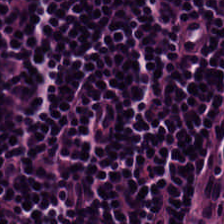H&E-stained tissue section showing lymphocytic infiltrate.
